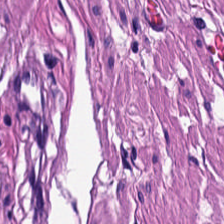Tissue — smooth-muscle tissue.
